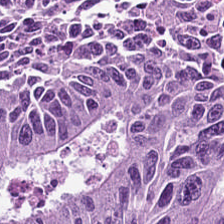0.5 µm per pixel; 224×224 px tile; hematoxylin-and-eosin stained section.
Q: What tissue is shown?
A: Tumor epithelium.
